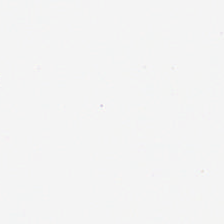Hematoxylin-and-eosin stained section · 0.5 µm per pixel · 224×224 px patch.
Q: What does this patch show?
A: It is empty background.
